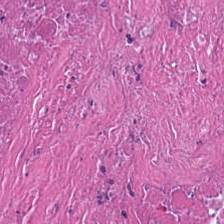H&E stain — Q: What is shown in this field?
A: It is cellular debris.
